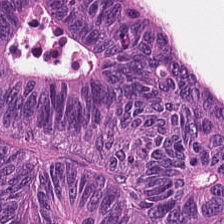H&E; FFPE.
This field is colorectal adenocarcinoma.
